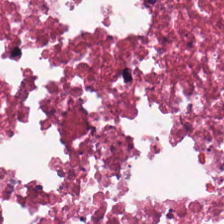Stain: H&E-stained tissue section.
Resolution: 20× equivalent magnification.
Acquisition: WSI patch.
Tissue class: cellular debris.
